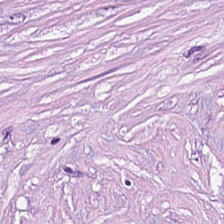Hematoxylin and eosin.
Tumor stroma.
